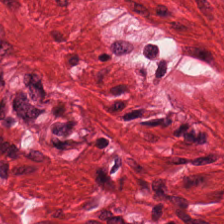H&E-stained tissue section; 20× equivalent magnification.
{"tissue_type": "muscularis"}
